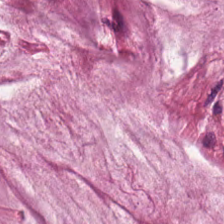H&E-stained tissue section — Mucin.
